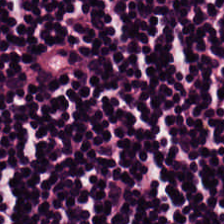Predominantly lymphocytes.
